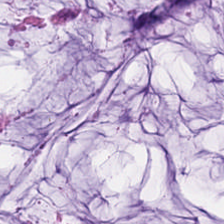Stain: H&E stain.
Predominant tissue: mucin.
